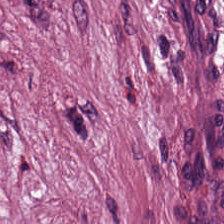Hematoxylin and eosin — Predominant tissue — cancer-associated stroma.
